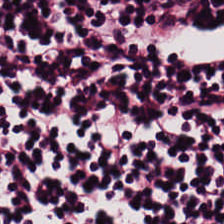H&E-stained tissue section. FFPE tissue section. Q: Classify this patch.
A: Lymphoid infiltrate.
